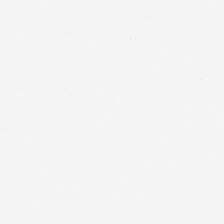Finding — background.
